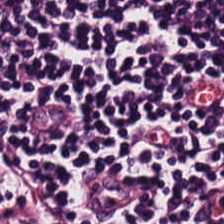Q: What is the predominant tissue type?
A: It is lymphocytic infiltrate.
